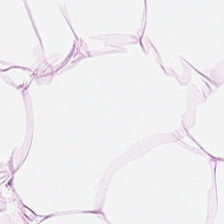Classification: fat tissue.
